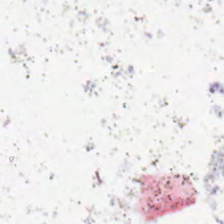Field content — background.
